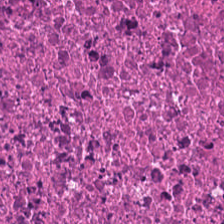Hematoxylin-and-eosin stained section. FFPE tissue section.
Finding → cellular debris.
